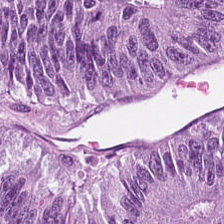H&E stain — Tissue type = colorectal adenocarcinoma.
